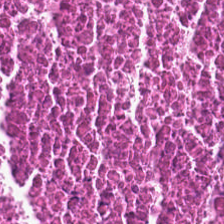Q: What is shown here?
A: It is debris.
